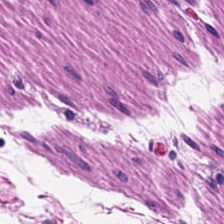H&E — The tissue is smooth-muscle tissue.
